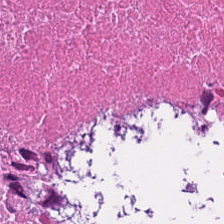Hematoxylin and eosin — Tissue class — debris.
